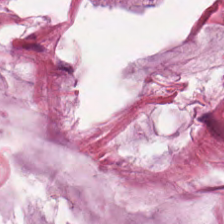H&E stain.
Tissue: mucin.
